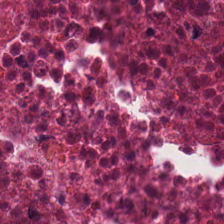Stain: H&E-stained tissue section.
Resolution: 0.5 µm/px.
Acquisition: brightfield.
Classification: necrotic debris.
